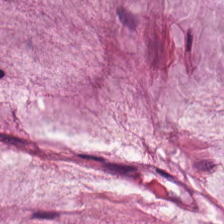Q: What is the predominant tissue type?
A: The field shows extracellular mucin.
